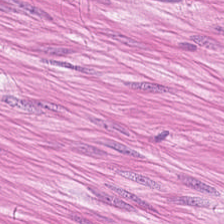Hematoxylin-and-eosin stained section · WSI patch — Showing smooth muscle.
